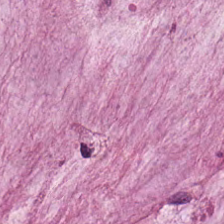H&E stain · 20× equivalent magnification. Histology — extracellular mucin.
